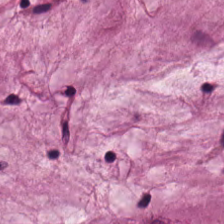Hematoxylin and eosin — This patch shows mucus.
